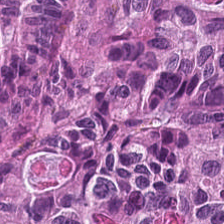Hematoxylin-and-eosin stained section · 0.5 microns per pixel — Tissue class: colorectal adenocarcinoma epithelium.
